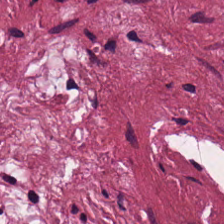224×224 px patch; whole-slide-image patch; H&E. Q: What is shown here?
A: This is tumor stroma.
